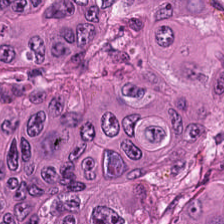H&E · formalin-fixed paraffin-embedded section · 224×224 pixel tile — This field is colorectal adenocarcinoma epithelium.
